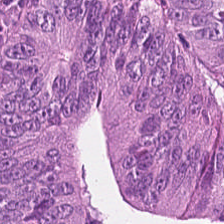H&E stain; 0.5 µm per pixel; 224×224 px patch.
Q: What tissue type is shown here?
A: This is colorectal adenocarcinoma epithelium.
